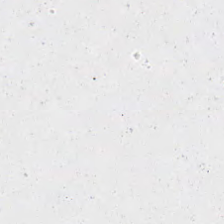H&E-stained tissue section. Background — no tissue in this field.
